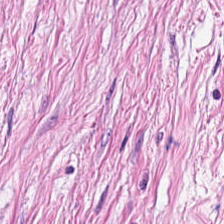224×224 px patch · H&E-stained tissue section.
Tissue = tumor-associated stroma.
